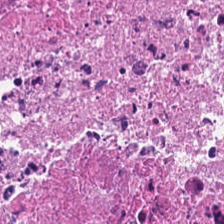The predominant tissue is cellular debris.
